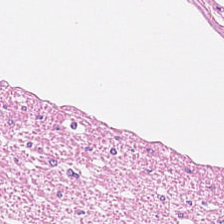Hematoxylin-and-eosin stained section · formalin-fixed paraffin-embedded section.
The classification is smooth muscle.
